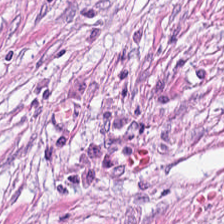0.5 µm per pixel · hematoxylin and eosin · 224×224 px patch. {"tissue_type": "tumor stroma"}
